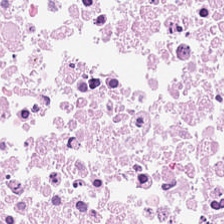Brightfield microscopy; H&E-stained tissue section; 0.5 µm/px. Impression — cellular debris.
